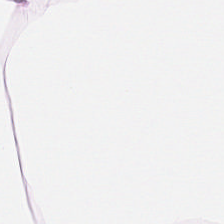Q: Classify this patch.
A: It is adipose tissue.
